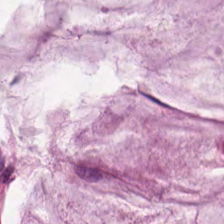H&E stain. {"tissue_type": "mucin"}
